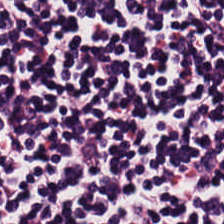The predominant tissue is lymphocytes.
